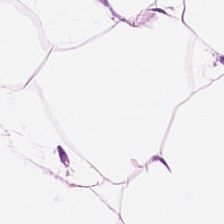Stain: hematoxylin-and-eosin stained section.
Tissue: fat tissue.
